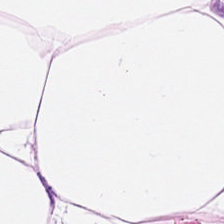H&E — Adipocytes.
